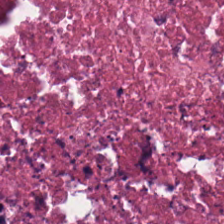H&E-stained tissue section. Whole-slide-image patch.
Q: Identify the tissue.
A: This is cellular debris.
